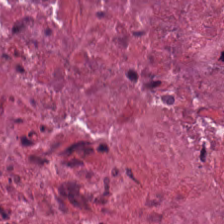Hematoxylin-and-eosin stained section.
This patch shows cellular debris.
